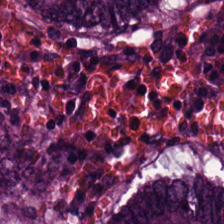Q: What is shown in this field?
A: This is adenocarcinoma.
